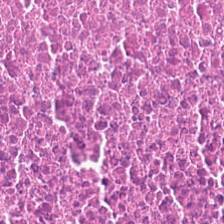H&E-stained tissue section; 0.5 µm per pixel.
This field is cellular debris.
